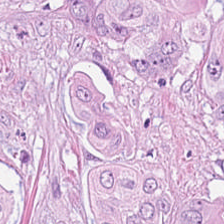Hematoxylin and eosin.
The tissue here is adenocarcinoma.
